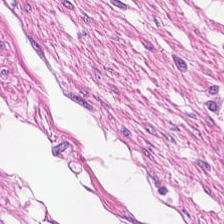H&E stain.
Tissue class = smooth-muscle tissue.
